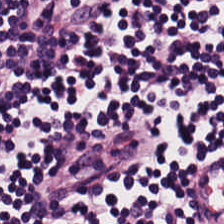H&E stain — This patch shows lymphoid infiltrate.
